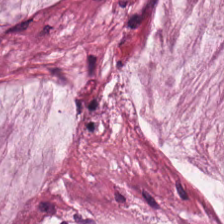{"tissue_type": "mucin"}
